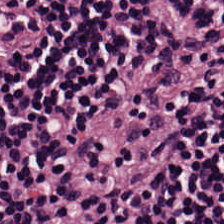Stain: hematoxylin and eosin.
Tissue class: lymphocyte aggregate.
